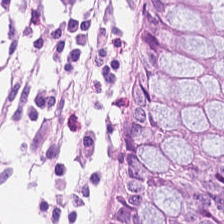{"tissue_type": "normal colonic mucosa"}
